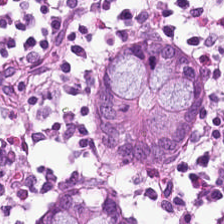H&E · brightfield microscopy · FFPE. The predominant tissue is non-neoplastic colon mucosa.
